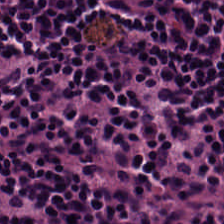Brightfield. H&E-stained tissue section.
{"tissue_type": "lymphocytes"}
